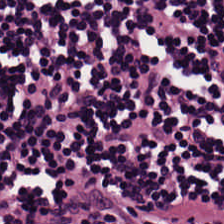H&E stain. Formalin-fixed paraffin-embedded section. 20× equivalent magnification.
This field is lymphocyte aggregate.
